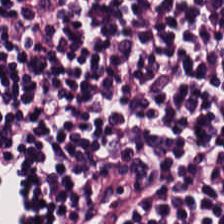Predominant tissue = lymphocytes.
